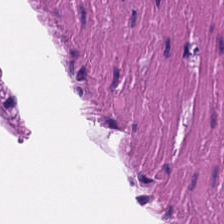224×224 pixel tile · H&E. Tissue class: smooth-muscle tissue.
